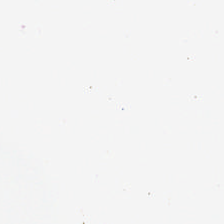Hematoxylin and eosin. 0.5 µm per pixel. Brightfield — This patch shows no tissue.
